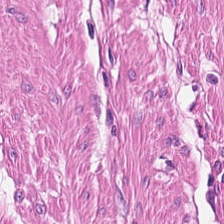Stain: hematoxylin-and-eosin stained section.
Tile size: 224×224 px tile.
Tissue class: muscularis.
